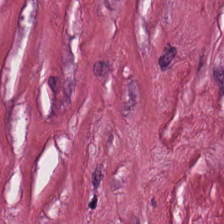Hematoxylin and eosin — Histology → tumor-associated stroma.
